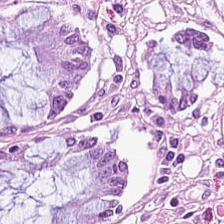Stain: hematoxylin and eosin.
Tissue: normal colonic mucosa.
